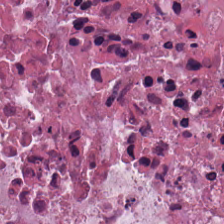Hematoxylin and eosin — Q: Identify the tissue.
A: This is debris.
